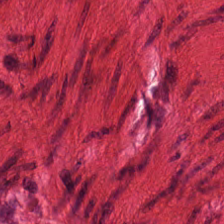Tissue type: smooth-muscle tissue.
